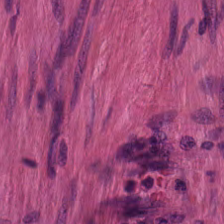H&E stain. Predominant tissue = smooth-muscle tissue.
